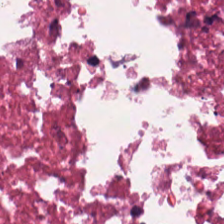H&E stain. Q: Identify the tissue.
A: Cellular debris.
